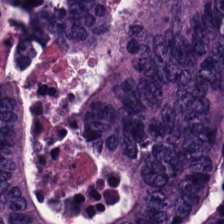H&E stain. FFPE. This field is adenocarcinoma.
